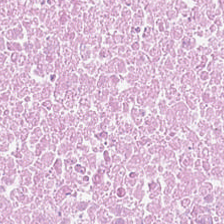FFPE. Hematoxylin and eosin — Q: What is shown in this field?
A: It is cellular debris.
